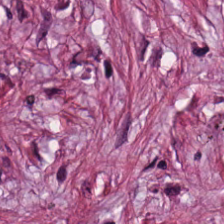Hematoxylin and eosin; brightfield. {"tissue_type": "desmoplastic stroma"}
